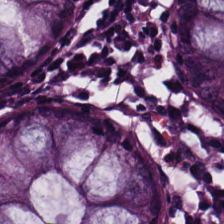H&E patch showing non-neoplastic colon mucosa.
